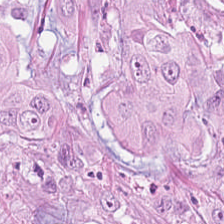Q: What is shown here?
A: Colorectal adenocarcinoma.
